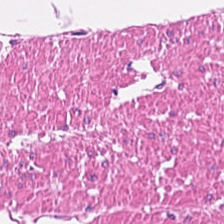Q: Classify this patch.
A: Smooth-muscle tissue.
